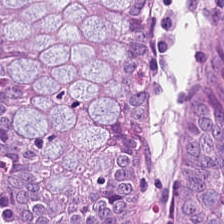Stain: H&E.
Tissue: normal colon mucosa.
